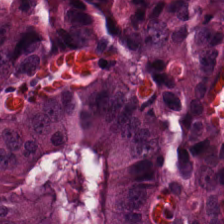H&E stain · 0.5 µm/px — Classification: malignant epithelium.
